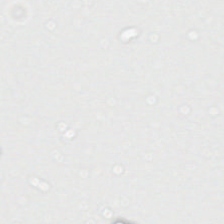0.5 microns per pixel; 224×224 pixel tile; H&E. Impression → no tissue.
